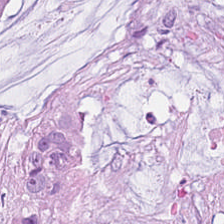Formalin-fixed paraffin-embedded section; H&E-stained tissue section; brightfield.
{"tissue_type": "extracellular mucin"}
